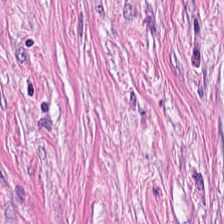Hematoxylin-and-eosin stained section · 0.5 µm/px.
Histology → desmoplastic stroma.
